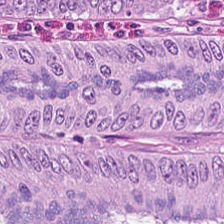H&E-stained tissue section. 0.5 µm per pixel. Tissue class: adenocarcinoma.
